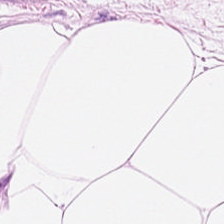Hematoxylin-and-eosin stained section. Classification = adipose tissue.
